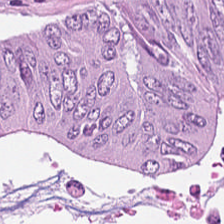Hematoxylin-and-eosin stained section · 20× equivalent magnification · 224×224 pixel tile.
Histology → adenocarcinoma.
